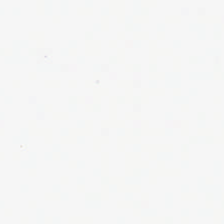H&E · whole-slide-image patch. The content is no tissue.
